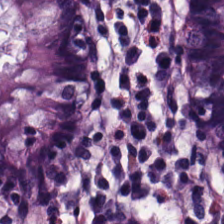Stain: hematoxylin and eosin.
Tile size: 224×224 px patch.
Tissue class: benign colonic mucosa.
